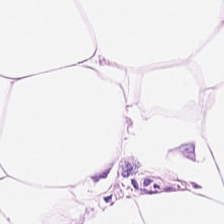Stain: H&E.
Resolution: 0.5 microns per pixel.
Tissue class: adipose tissue.
